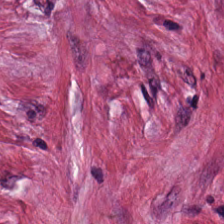Q: Classify this patch.
A: The field shows tumor stroma.
